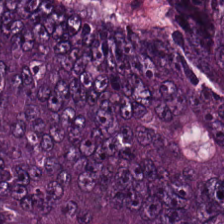Hematoxylin and eosin. Formalin-fixed paraffin-embedded section — Q: Identify the tissue.
A: Malignant epithelium.
